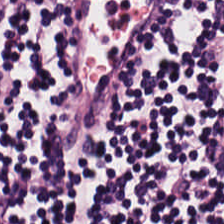224×224 px tile; H&E stain.
Predominantly lymphocytes.
